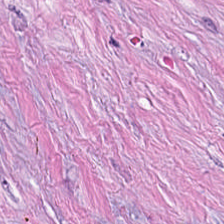Tissue — cancer-associated stroma.
